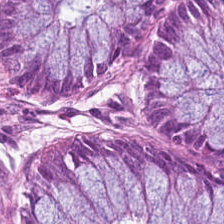H&E; whole-slide-image patch. Q: What is the predominant tissue type?
A: This is normal colon mucosa.
